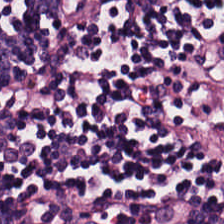H&E stain — Q: What tissue type is shown here?
A: This is lymphocytes.
